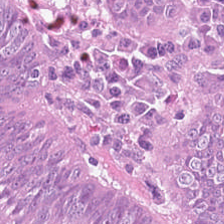H&E; 0.5 µm per pixel. Impression → colorectal adenocarcinoma.
